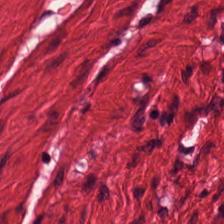H&E-stained section; the field shows smooth muscle.
